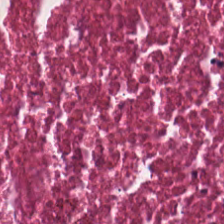Stain: H&E stain.
Acquisition: brightfield.
Tile size: 224×224 px tile.
Tissue class: necrotic debris.
